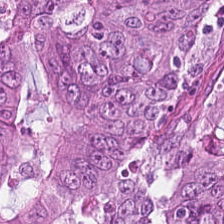H&E. Tissue type: adenocarcinoma.
